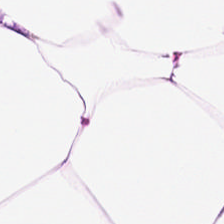Q: Classify this patch.
A: This is adipose tissue.
